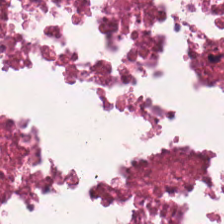H&E — Predominantly cellular debris.
